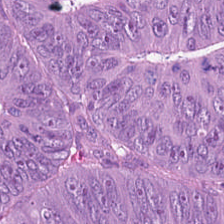Stain: H&E.
Classification: colorectal adenocarcinoma epithelium.
